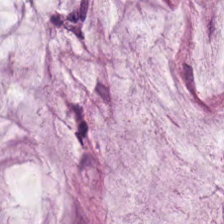Hematoxylin-and-eosin stained section.
Predominantly extracellular mucin.
